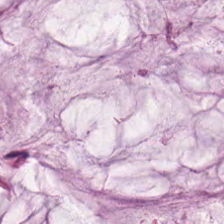H&E-stained tissue section. The tissue type is mucin.
